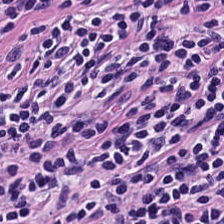H&E — Q: Identify the tissue.
A: The field shows lymphocyte aggregate.
